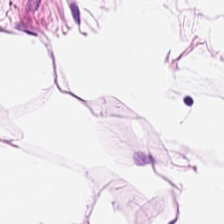FFPE tissue section. H&E. Adipocytes.
